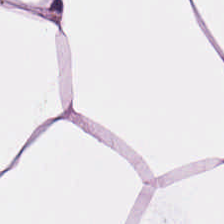Hematoxylin and eosin.
Showing adipose.
